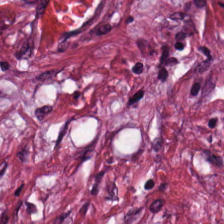Brightfield microscopy. Hematoxylin and eosin. 224×224 px patch.
Impression — tumor-associated stroma.
